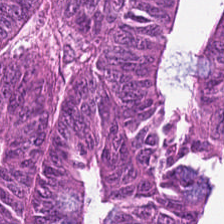H&E-stained tissue section; FFPE — Histology — adenocarcinoma.
